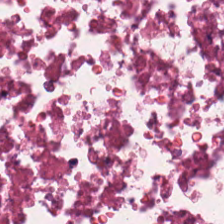H&E.
Q: What tissue is shown?
A: The field shows cellular debris.
